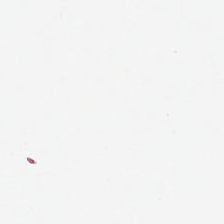Empty background.
